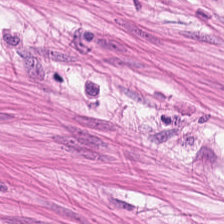H&E-stained tissue section — Predominantly muscularis.
